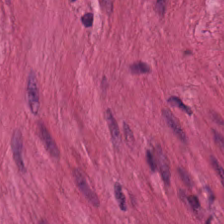This patch shows smooth muscle.
